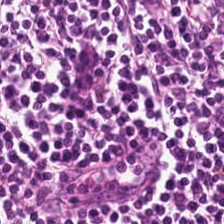Stain: H&E-stained tissue section.
Resolution: 0.5 µm per pixel.
Acquisition: WSI patch.
Tissue: lymphoid infiltrate.
